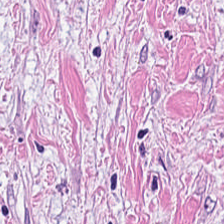H&E stain. Brightfield microscopy.
The tissue type is tumor-associated stroma.
